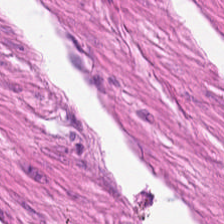Whole-slide-image patch · H&E · 224×224 pixel tile — Tissue = smooth muscle.
